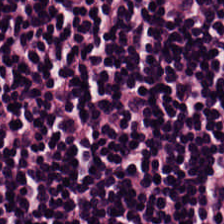{"tissue_type": "lymphocytic infiltrate"}
